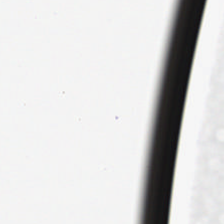H&E-stained tissue section.
Q: What is shown here?
A: It is background (no tissue).
